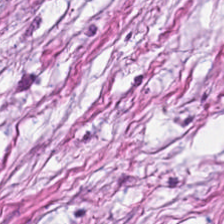Desmoplastic stroma.
